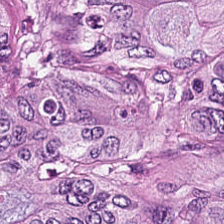224×224 px patch; H&E; formalin-fixed paraffin-embedded section. Malignant epithelium.
